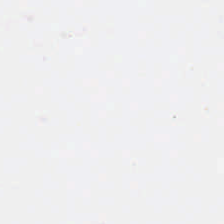H&E-stained tissue section.
Q: What is shown in this field?
A: It is background.
